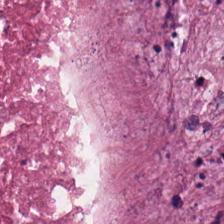Tissue class: debris.
